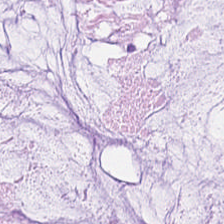H&E stain — Tissue class: mucin.
